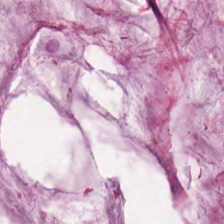Stain: H&E stain.
Tile size: 224×224 pixel tile.
Resolution: 0.5 µm/px.
Classification: extracellular mucin.
